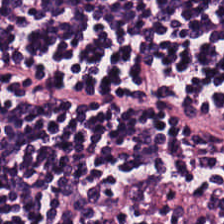The tissue here is lymphoid infiltrate.
